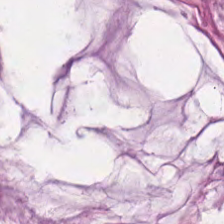Hematoxylin-and-eosin section: mucin.
